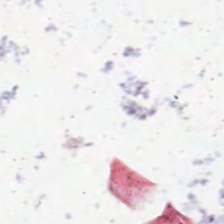Hematoxylin-and-eosin stained section. Brightfield — This field is background (no tissue).
